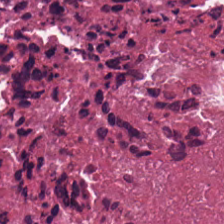H&E. Showing debris.
